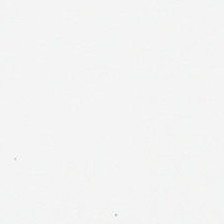Formalin-fixed paraffin-embedded section. H&E — Empty field — background (no tissue).
